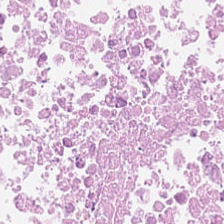Impression → debris.
